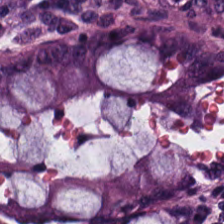FFPE. Hematoxylin and eosin. 0.5 µm per pixel — Q: What tissue type is shown here?
A: This is non-neoplastic colon mucosa.
